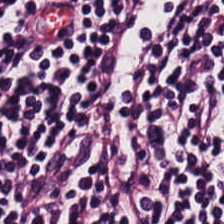H&E stain. Predominantly lymphocytes.
